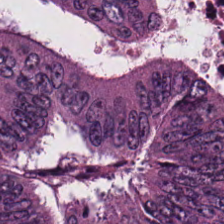H&E · whole-slide-image patch.
Tissue = adenocarcinoma.
